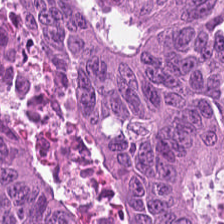Whole-slide-image patch · 20× equivalent magnification · H&E-stained tissue section — Tissue class — adenocarcinoma.
